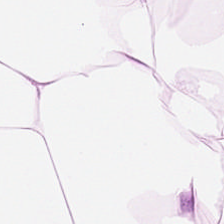H&E-stained tissue section. Brightfield. 0.5 µm per pixel — This field is adipose.
